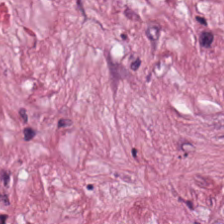The predominant tissue is cancer-associated stroma.
